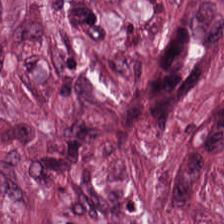H&E stain.
Showing tumor stroma.
